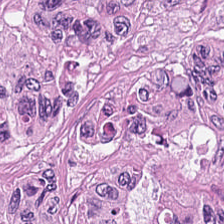Formalin-fixed paraffin-embedded section. Hematoxylin and eosin. 224×224 px patch. Impression → adenocarcinoma.
